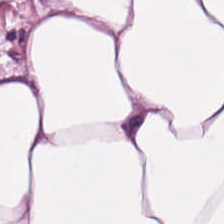Hematoxylin-and-eosin stained section.
Adipose tissue.
